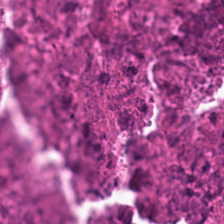H&E patch showing debris.
